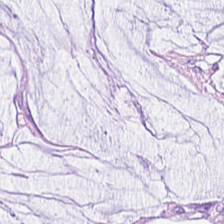H&E stain · 0.5 µm/px.
This patch shows mucus.
